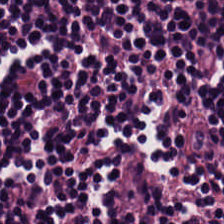Classification: lymphocytes.
